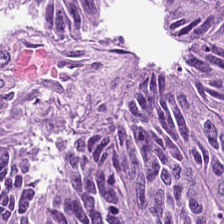Stain: H&E.
Predominant tissue: colorectal adenocarcinoma.
